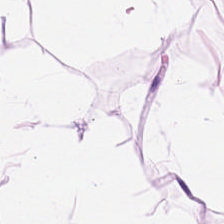H&E — The tissue here is adipocytes.
